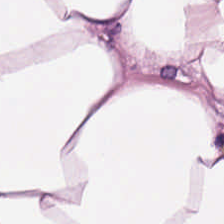20× equivalent magnification; H&E-stained tissue section; 224×224 px tile. Impression → adipocytes.
